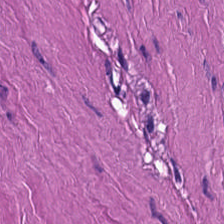Hematoxylin-and-eosin stained section. Brightfield. FFPE tissue section. Q: What type of tissue is this?
A: This is muscularis.
